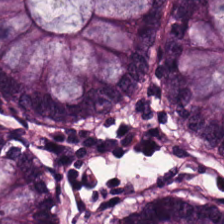Q: What is shown in this field?
A: Normal colon mucosa.
